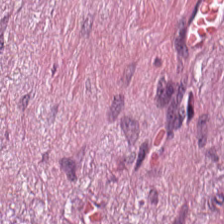Hematoxylin-and-eosin section: cancer-associated stroma.
